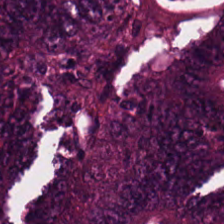H&E stain; 224×224 px tile.
Q: What is shown in this field?
A: Colorectal adenocarcinoma.
